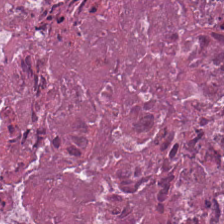Hematoxylin and eosin. The tissue class is necrotic debris.
